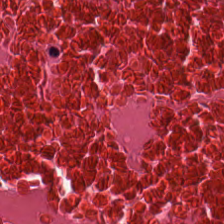H&E-stained tissue section; FFPE tissue section; 224×224 px patch. This patch shows cellular debris.
